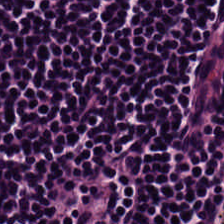H&E patch showing lymphocyte aggregate.
